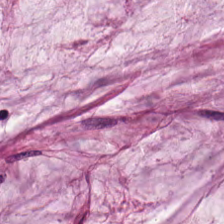H&E. Impression — mucus.
